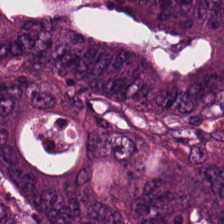Hematoxylin and eosin. Brightfield.
Finding → colorectal adenocarcinoma epithelium.
